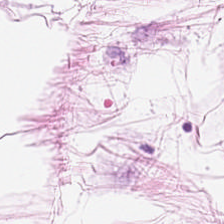Brightfield microscopy. H&E-stained tissue section — The tissue here is adipocytes.
